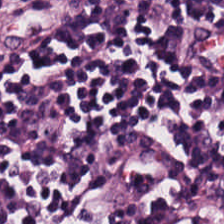Hematoxylin-and-eosin section: lymphocytes.
